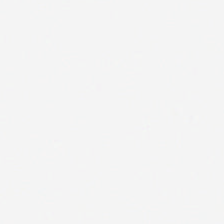0.5 µm per pixel; H&E-stained tissue section; 224×224 pixel tile. {"content": "background"}
